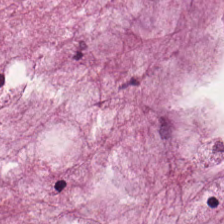H&E-stained tissue section showing mucin.
